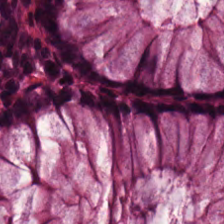H&E-stained tissue section · 224×224 pixel tile.
Predominant tissue = normal colon mucosa.
